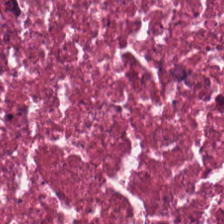H&E-stained tissue section.
{"tissue_type": "necrotic debris"}
